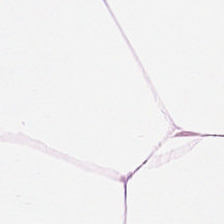H&E-stained tissue section — Tissue type: adipose tissue.
